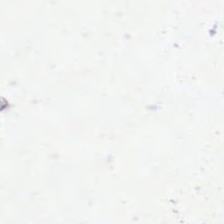This field is background (no tissue).
